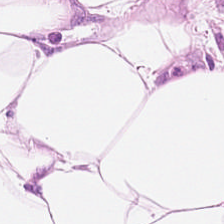Hematoxylin and eosin — Predominant tissue — adipose tissue.
